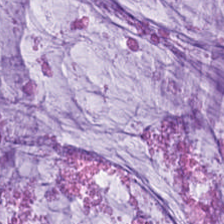FFPE tissue section. H&E-stained tissue section. 224×224 px patch — The predominant tissue is mucus.
